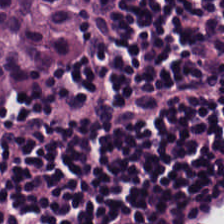Stain: hematoxylin-and-eosin stained section.
Preparation: FFPE.
Tile size: 224×224 px patch.
Tissue class: lymphocytes.
